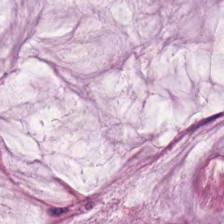Classification — mucin.
